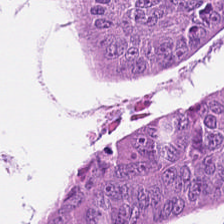Hematoxylin-and-eosin stained section; 224×224 px patch — Showing colorectal adenocarcinoma.
